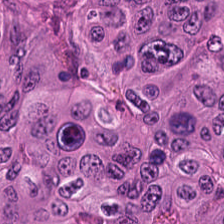H&E. This patch shows colorectal adenocarcinoma.
